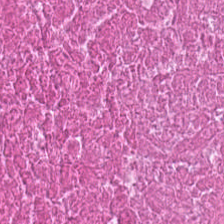Showing debris.
